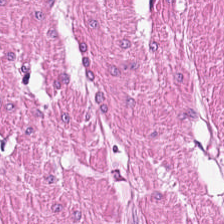Hematoxylin-and-eosin stained section. This field is smooth-muscle tissue.
